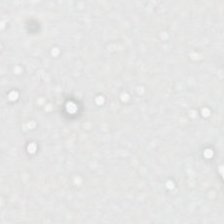H&E.
This patch shows empty background.
